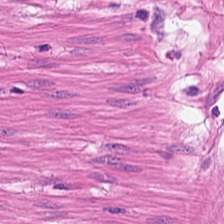Hematoxylin-and-eosin stained section — Histology — smooth muscle.
